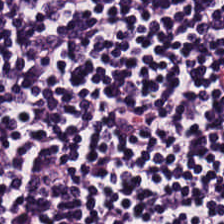Stain: hematoxylin-and-eosin stained section.
Tissue type: lymphocyte aggregate.
